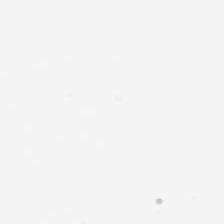Stain: H&E.
Classification: no tissue.
